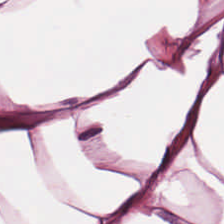FFPE · hematoxylin and eosin — Q: What type of tissue is this?
A: Adipose.
